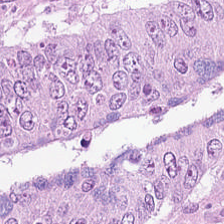Hematoxylin and eosin.
This field is adenocarcinoma.
